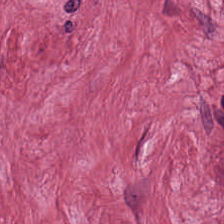Histology → tumor-associated stroma.
